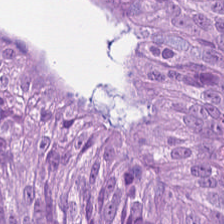H&E. The predominant tissue is adenocarcinoma.
